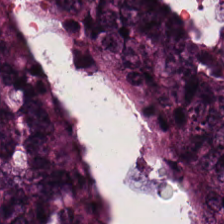Stain: hematoxylin and eosin.
Classification: adenocarcinoma.
